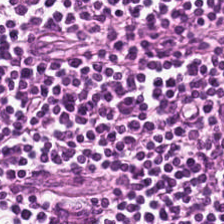Tissue — lymphocyte aggregate.
